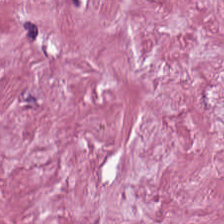Predominant tissue = tumor stroma.
